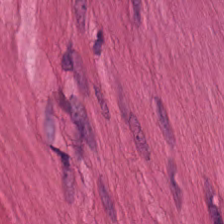The tissue type is smooth muscle.
